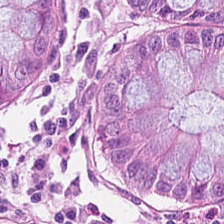Stain: H&E stain.
Tile size: 224×224 px tile.
Preparation: formalin-fixed paraffin-embedded section.
Tissue class: normal colon mucosa.
